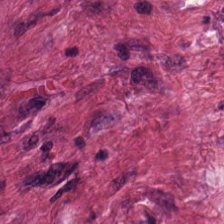Hematoxylin-and-eosin stained section.
Showing cancer-associated stroma.
